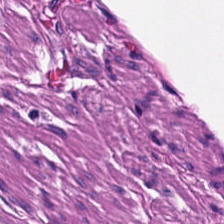H&E. Q: What is shown here?
A: This is smooth-muscle tissue.
